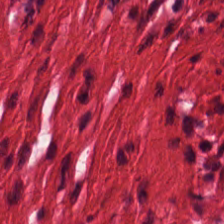FFPE; H&E-stained tissue section.
The predominant tissue is smooth muscle.
